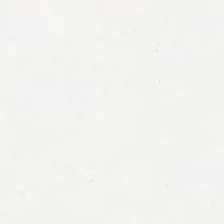Stain: hematoxylin-and-eosin stained section.
Content: background.
